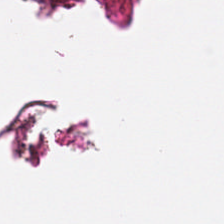H&E. Background.
